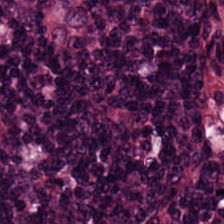H&E stain. The predominant tissue is lymphoid infiltrate.
